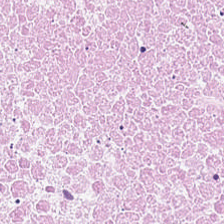FFPE tissue section. H&E stain.
This patch shows debris.
